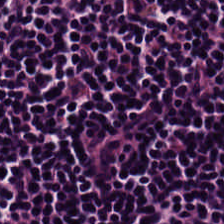H&E-stained section; the field shows lymphocytic infiltrate.
